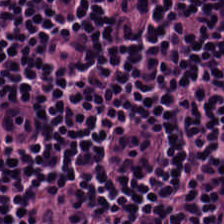Predominant tissue — lymphocytes.
